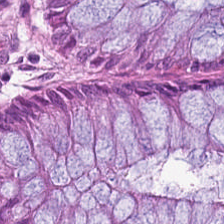H&E stain. 20× equivalent magnification. Tissue type — benign colonic mucosa.
